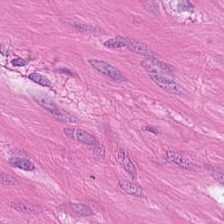Hematoxylin and eosin. Q: What tissue type is shown here?
A: It is muscularis.
